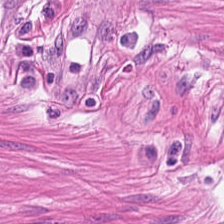H&E stain — Finding → smooth-muscle tissue.
